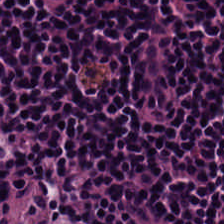Brightfield · H&E · FFPE — The tissue type is lymphoid infiltrate.
